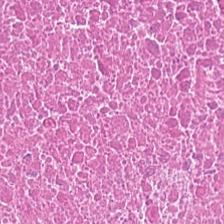Hematoxylin and eosin.
Tissue class: debris.
